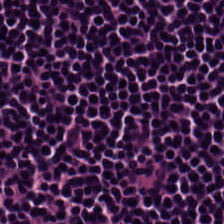Q: What tissue is shown?
A: Lymphoid infiltrate.
